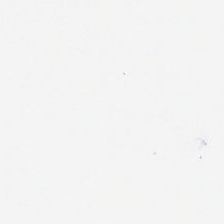H&E. Impression → empty background.
